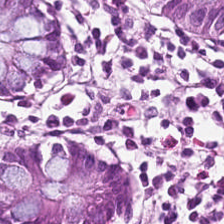Stain: hematoxylin-and-eosin stained section.
Classification: normal colonic mucosa.
